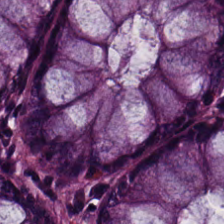Impression — non-neoplastic colon mucosa.
